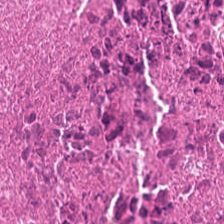H&E · brightfield microscopy — {"tissue_type": "debris"}
